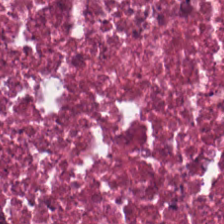H&E stain — Predominant tissue: debris.
